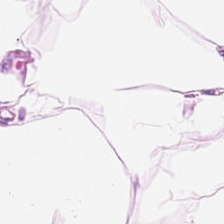Stain: H&E-stained tissue section.
Tissue type: fat tissue.
